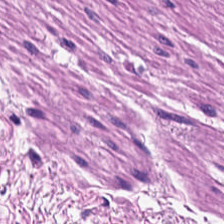0.5 µm/px. H&E. 224×224 px patch — The tissue here is muscularis.
